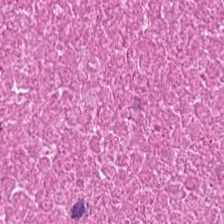The tissue here is necrotic debris.
